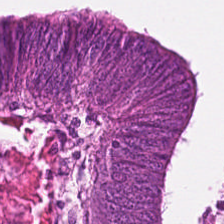Stain: hematoxylin-and-eosin stained section.
Tile size: 224×224 px tile.
Tissue class: malignant epithelium.
